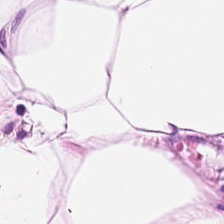Hematoxylin-and-eosin stained section.
Finding — adipose.
